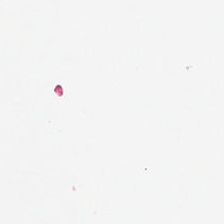This patch shows background.
